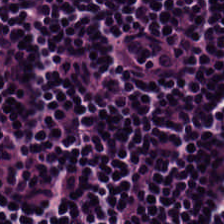H&E-stained tissue section — {"tissue_type": "lymphocytes"}
